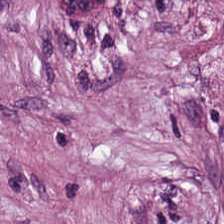Hematoxylin-and-eosin stained section. Classification: tumor-associated stroma.
